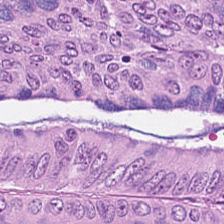FFPE. H&E. Brightfield. The predominant tissue is malignant epithelium.
